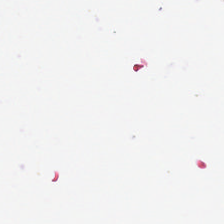Stain: hematoxylin-and-eosin stained section.
Tile size: 224×224 px patch.
Acquisition: brightfield.
Field content: background.
